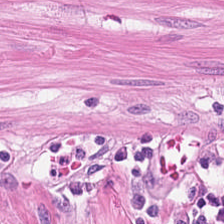FFPE; hematoxylin-and-eosin stained section; 0.5 µm per pixel — Finding — muscularis.
